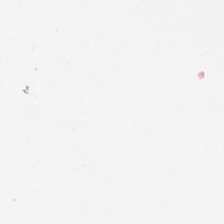Hematoxylin-and-eosin stained section; 224×224 px patch; brightfield microscopy.
Histology — empty background.
